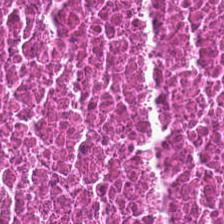Stain: H&E stain.
Tissue type: necrotic debris.
